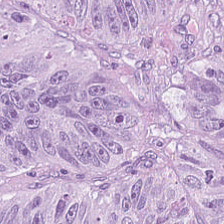H&E stain.
The tissue here is malignant epithelium.
